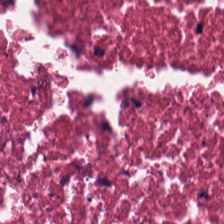FFPE. 224×224 px patch. Hematoxylin and eosin. Q: What is the predominant tissue type?
A: Cellular debris.
